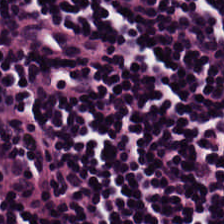Q: What is shown here?
A: It is lymphoid infiltrate.
